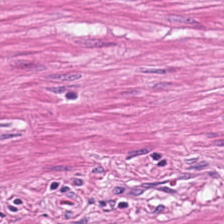H&E; formalin-fixed paraffin-embedded section. Showing smooth muscle.
